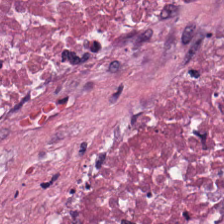Hematoxylin and eosin; whole-slide-image patch.
Q: What is shown in this field?
A: The field shows necrotic debris.
